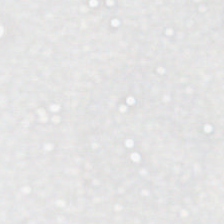Background (no tissue).
